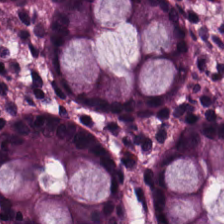Hematoxylin and eosin.
Finding → non-neoplastic colon mucosa.
